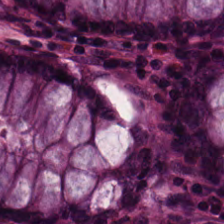Hematoxylin and eosin — This field is normal colon mucosa.
